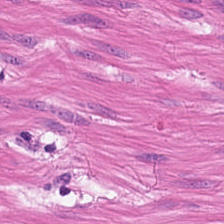FFPE · H&E-stained tissue section. The predominant tissue is smooth muscle.
